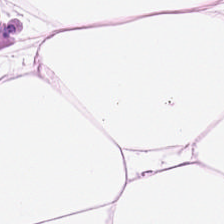H&E-stained tissue section — Predominantly adipose tissue.
